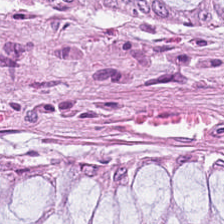H&E stain. Predominantly normal colonic mucosa.
